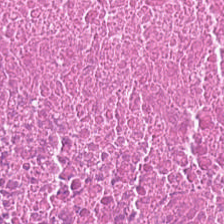H&E stain.
Cellular debris.
